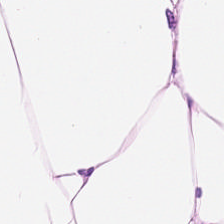Stain: H&E.
Tile size: 224×224 px patch.
Preparation: formalin-fixed paraffin-embedded section.
Tissue type: adipocytes.
